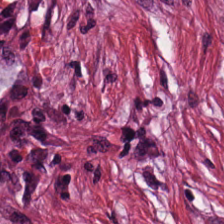Hematoxylin-and-eosin stained section — This patch shows cancer-associated stroma.
